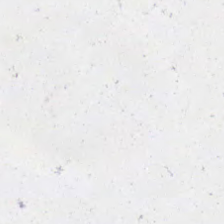Histology → background.
